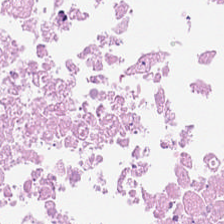Hematoxylin-and-eosin stained section · 0.5 µm/px · 224×224 px patch.
Tissue class: debris.
